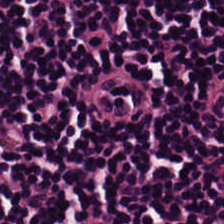H&E stain. The classification is lymphocyte aggregate.
